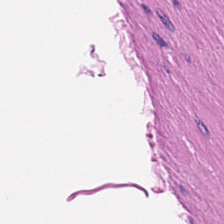{"tissue_type": "muscularis"}
